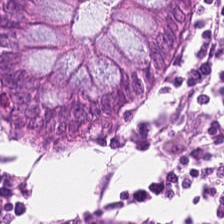Formalin-fixed paraffin-embedded section · H&E stain. Q: What type of tissue is this?
A: This is non-neoplastic colon mucosa.
